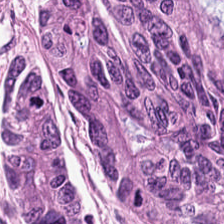H&E-stained tissue section. 224×224 px tile.
Q: What tissue is shown?
A: Malignant epithelium.
